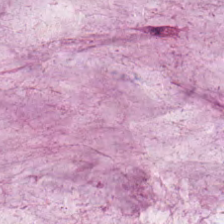Hematoxylin-and-eosin stained section — Predominantly extracellular mucin.
